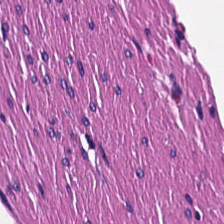Stain: hematoxylin-and-eosin stained section.
Resolution: 0.5 µm/px.
Tissue class: muscularis.
